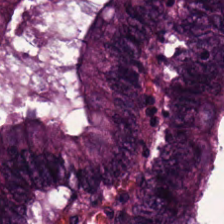0.5 microns per pixel · H&E.
Finding → colorectal adenocarcinoma.
